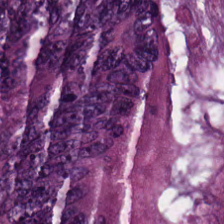H&E-stained tissue section · 0.5 microns per pixel · formalin-fixed paraffin-embedded section. Showing malignant epithelium.
